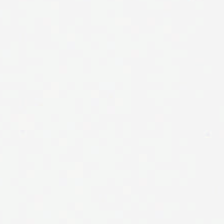H&E — This patch shows empty background.
